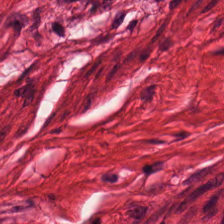H&E. Q: What is shown here?
A: The field shows smooth muscle.
